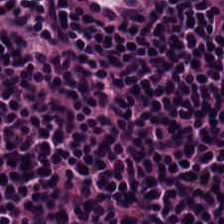FFPE tissue section; brightfield microscopy; H&E-stained tissue section — Showing lymphoid infiltrate.
